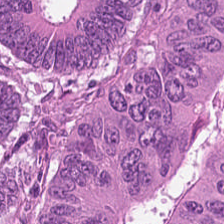H&E stain. Whole-slide-image patch.
Classification — adenocarcinoma.
